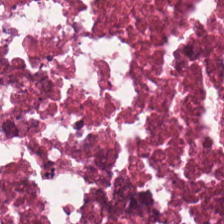Hematoxylin-and-eosin section: necrotic debris.
